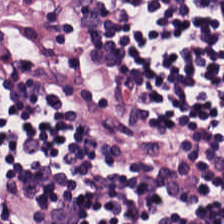H&E-stained tissue section.
Predominant tissue — lymphocyte aggregate.
